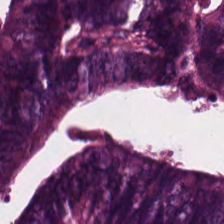H&E-stained tissue section · 0.5 µm/px — The predominant tissue is tumor epithelium.
